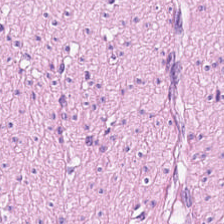Hematoxylin-and-eosin stained section. 224×224 px patch. Formalin-fixed paraffin-embedded section. Predominantly muscularis.
